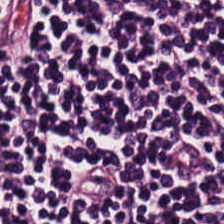H&E. 0.5 microns per pixel.
Predominant tissue — lymphocytes.
